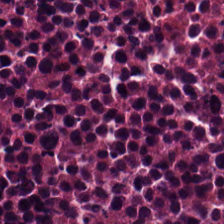Stain: hematoxylin and eosin.
Tissue type: necrotic debris.
